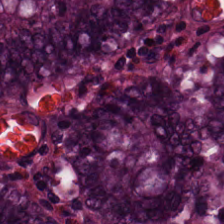H&E-stained tissue section; 224×224 pixel tile.
Tissue — non-neoplastic colon mucosa.
